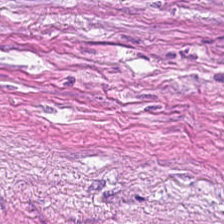H&E stain. 224×224 pixel tile.
Histology — cancer-associated stroma.
